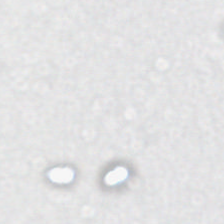H&E-stained tissue section. Whole-slide-image patch. Background — no tissue in this field.
